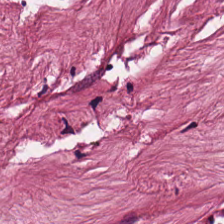0.5 microns per pixel. H&E-stained tissue section. {"tissue_type": "tumor stroma"}
